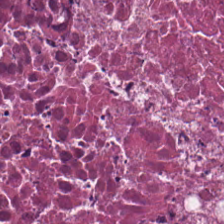0.5 microns per pixel. Hematoxylin-and-eosin stained section. 224×224 px patch. Necrotic debris.
